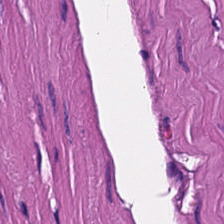Tissue class: muscularis.
